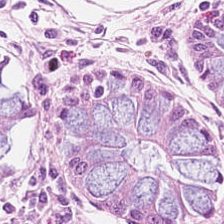H&E stain.
The predominant tissue is normal colonic mucosa.
